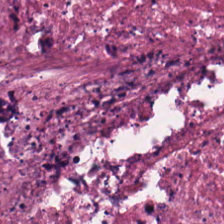H&E-stained tissue section — Debris.
